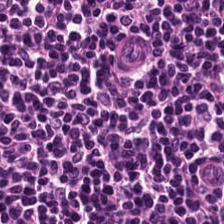This field is lymphocytes.
